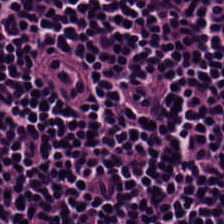Stain: hematoxylin and eosin.
Tissue type: lymphocyte aggregate.
